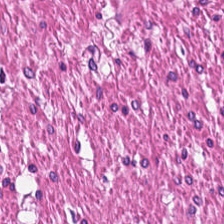Stain: hematoxylin and eosin.
Tissue class: smooth-muscle tissue.
